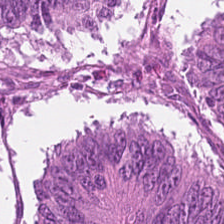FFPE · H&E-stained tissue section. The predominant tissue is adenocarcinoma.
